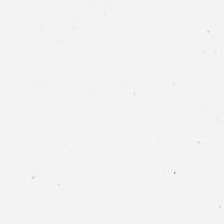Hematoxylin and eosin. Background — no tissue in this field.
